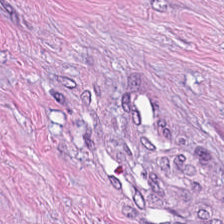Q: What is shown in this field?
A: Desmoplastic stroma.
